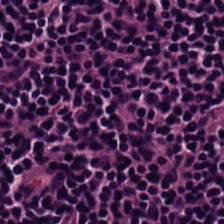H&E — lymphocytes.
